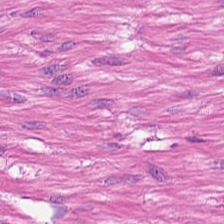Hematoxylin-and-eosin stained section · formalin-fixed paraffin-embedded section. Q: What is the predominant tissue type?
A: The field shows smooth muscle.
